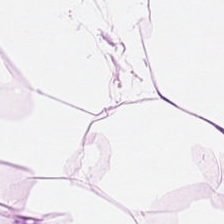H&E — Predominant tissue = adipose.
